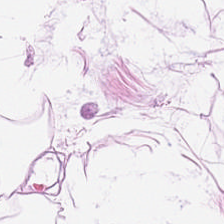Hematoxylin and eosin · 224×224 px tile. Histology — adipose.
